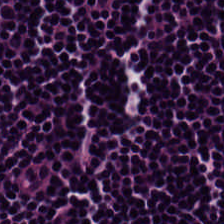H&E-stained tissue section. Classification = lymphocytic infiltrate.
